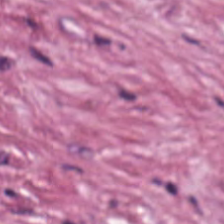FFPE · hematoxylin and eosin · 224×224 px patch.
The tissue type is desmoplastic stroma.
